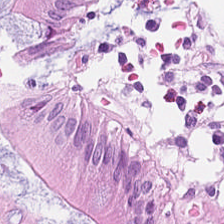Stain: hematoxylin-and-eosin stained section.
Resolution: 20× equivalent magnification.
Classification: non-neoplastic colon mucosa.
